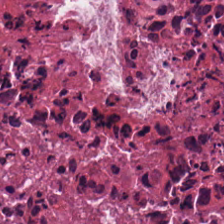H&E stain. Tissue: necrotic debris.
